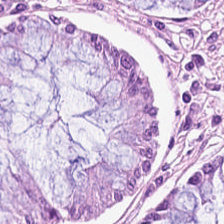H&E-stained tissue section.
Finding — benign colonic mucosa.
